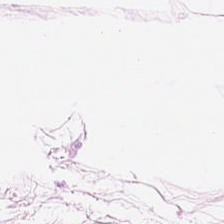Hematoxylin-and-eosin section: adipose.
